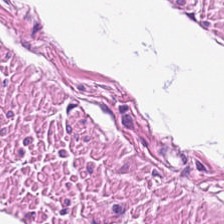H&E stain.
Tissue type = smooth-muscle tissue.
